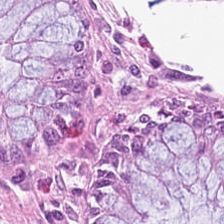Stain: H&E.
Tissue: benign colonic mucosa.
